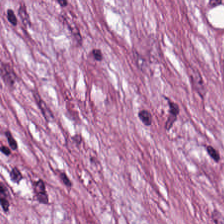224×224 pixel tile. H&E.
Tissue — tumor stroma.
